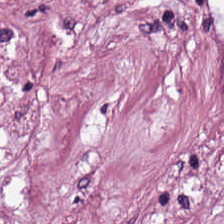This patch shows tumor-associated stroma.
